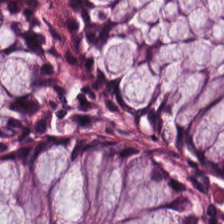H&E-stained section; the field shows non-neoplastic colon mucosa.
